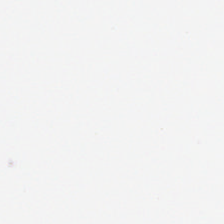No tissue present; background only.
